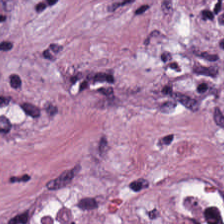Predominant tissue — desmoplastic stroma.
